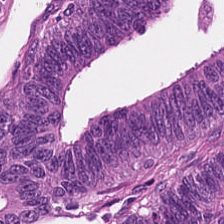Hematoxylin and eosin; 224×224 pixel tile. Q: What tissue is shown?
A: Colorectal adenocarcinoma.
